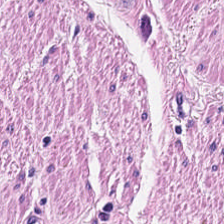H&E stain.
Predominantly smooth muscle.
